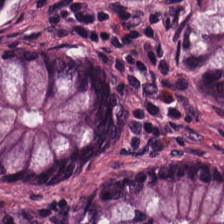H&E · 0.5 microns per pixel. Showing normal colon mucosa.
